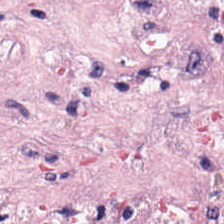The tissue class is cancer-associated stroma.
